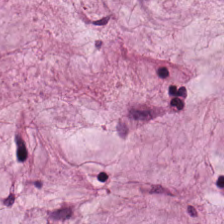Hematoxylin and eosin. The tissue here is mucus.
